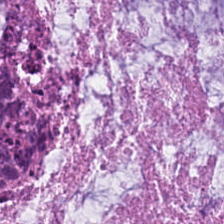Predominantly mucin.
